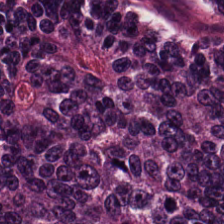H&E — This field is adenocarcinoma.
